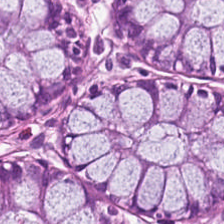224×224 px tile. 0.5 µm per pixel. Hematoxylin and eosin.
Impression → non-neoplastic colon mucosa.
